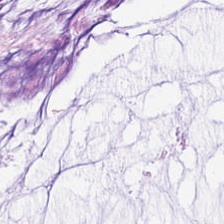Hematoxylin-and-eosin stained section. Q: What tissue type is shown here?
A: The field shows mucin.
